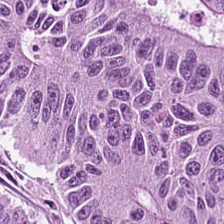Hematoxylin-and-eosin stained section.
Malignant epithelium.
